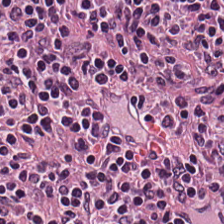Hematoxylin-and-eosin stained section. 224×224 px patch. FFPE — Tissue class — lymphocytic infiltrate.
